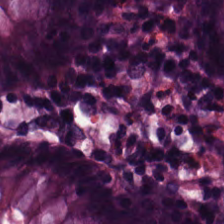The predominant tissue is normal colonic mucosa.
